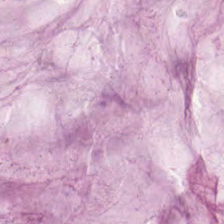Tissue: extracellular mucin.
